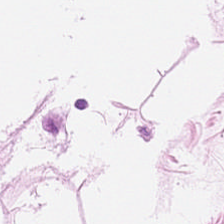WSI patch; H&E-stained tissue section; 0.5 µm/px.
Tissue class: adipose tissue.
